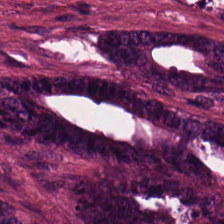Hematoxylin and eosin — Impression → adenocarcinoma.
